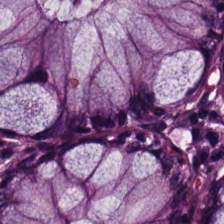Showing non-neoplastic colon mucosa.
